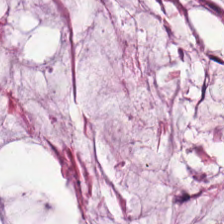H&E.
This field is mucus.
